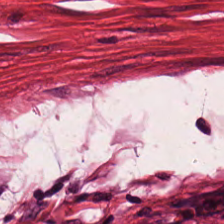224×224 px patch; hematoxylin-and-eosin stained section; brightfield. Q: What is shown here?
A: The field shows smooth muscle.
